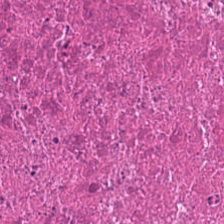Q: What is shown in this field?
A: It is cellular debris.
